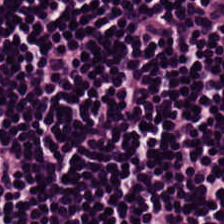H&E stain — This field is lymphocytes.
